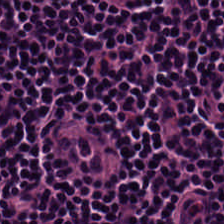Hematoxylin-and-eosin stained section · FFPE — The predominant tissue is lymphocytes.
